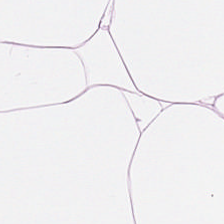224×224 px patch. H&E.
Tissue class: fat tissue.
